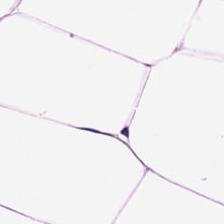Hematoxylin-and-eosin section: fat tissue.
